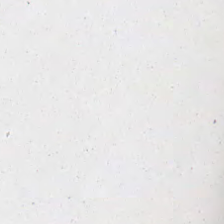Formalin-fixed paraffin-embedded section · H&E — Background — no tissue in this field.
